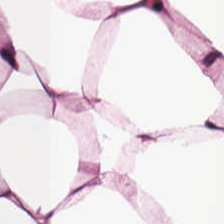Brightfield microscopy. Hematoxylin-and-eosin stained section. 224×224 px patch. Showing fat tissue.
